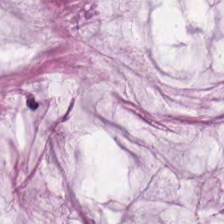Q: What tissue type is shown here?
A: It is mucus.
